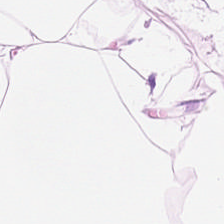H&E-stained tissue section · brightfield microscopy. Finding — adipocytes.
